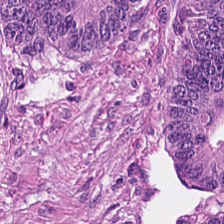Finding → tumor epithelium.
